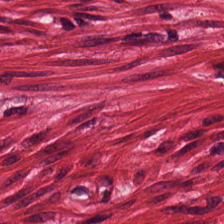Hematoxylin-and-eosin stained section. Histology → smooth-muscle tissue.
